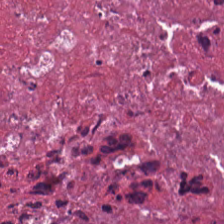H&E stain — Tissue: cellular debris.
